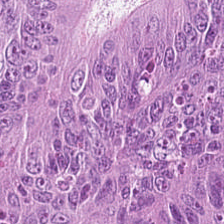Hematoxylin and eosin.
Histology → tumor epithelium.
